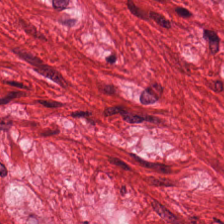224×224 pixel tile; hematoxylin-and-eosin stained section.
Finding → smooth muscle.
